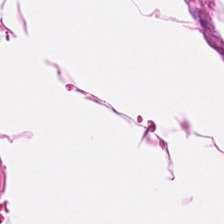H&E stain. Brightfield — Tissue type — muscularis.
